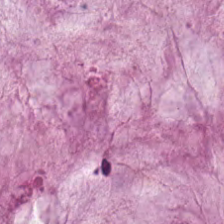H&E stain. The classification is mucin.
